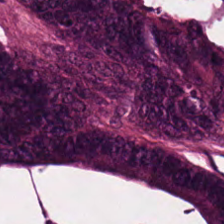Hematoxylin and eosin — Predominant tissue = adenocarcinoma.
